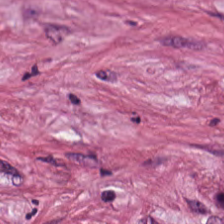Brightfield; hematoxylin and eosin. Q: What is shown here?
A: Desmoplastic stroma.
